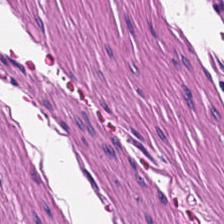Tissue class — smooth-muscle tissue.
